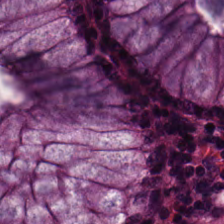Brightfield microscopy · FFPE · H&E-stained tissue section — Finding — normal colonic mucosa.
